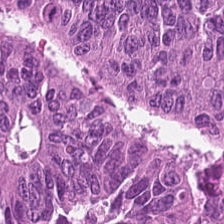H&E; 224×224 px tile. Predominantly malignant epithelium.
